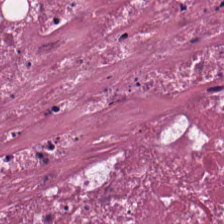Hematoxylin and eosin.
Impression — cellular debris.
